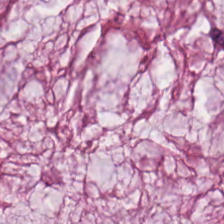Stain: H&E stain.
Tissue type: mucin.
